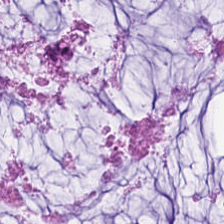H&E — Q: What is shown here?
A: It is mucus.
